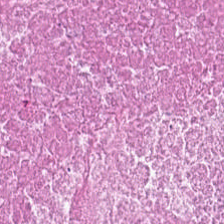Stain: hematoxylin-and-eosin stained section.
Predominant tissue: debris.
